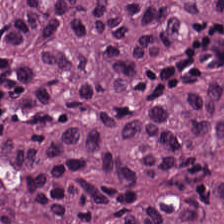H&E-stained tissue section. Tumor epithelium.
